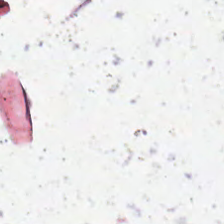Hematoxylin and eosin. Impression → empty background.
